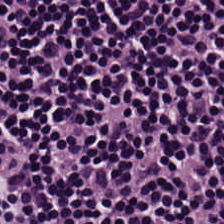224×224 px patch; hematoxylin-and-eosin stained section. Tissue = lymphoid infiltrate.
